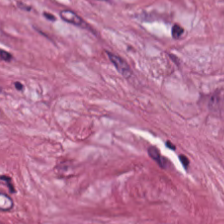This field is tumor-associated stroma.
